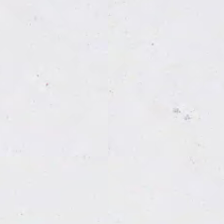Finding — no tissue.
